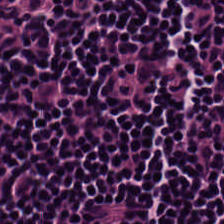H&E stain. 20× equivalent magnification — {"tissue_type": "lymphocytic infiltrate"}
